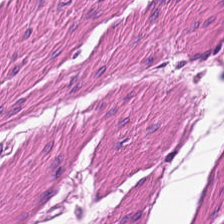H&E. Tissue: smooth muscle.
